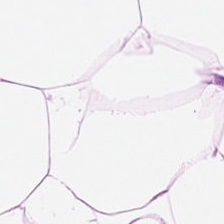Hematoxylin and eosin. Tissue: adipocytes.
